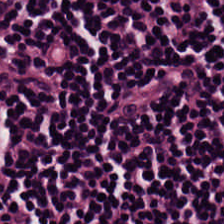Hematoxylin-and-eosin stained section — The predominant tissue is lymphoid infiltrate.
